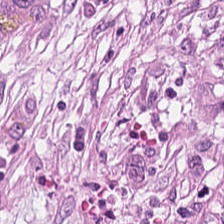Predominant tissue: tumor stroma.
